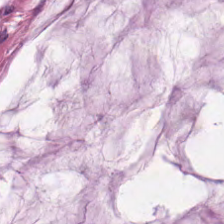Hematoxylin and eosin — Predominant tissue: extracellular mucin.
